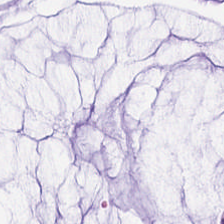Hematoxylin-and-eosin stained section. This patch shows extracellular mucin.
